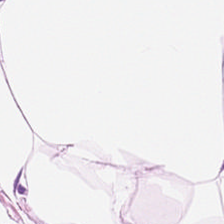H&E stain.
Impression → adipose tissue.
